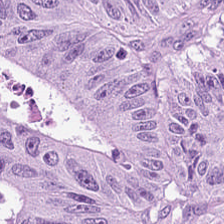Tissue = malignant epithelium.
